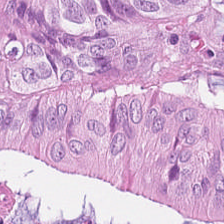Hematoxylin-and-eosin stained section; 20× equivalent magnification. The tissue type is colorectal adenocarcinoma epithelium.
